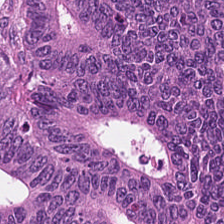Hematoxylin-and-eosin stained section. FFPE.
Q: What is shown here?
A: This is malignant epithelium.
